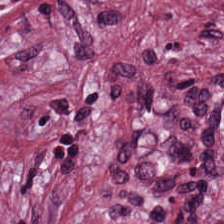Hematoxylin and eosin. Finding → tumor-associated stroma.
